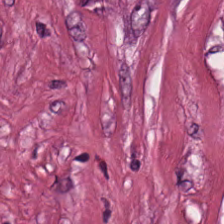Hematoxylin and eosin — The predominant tissue is desmoplastic stroma.
